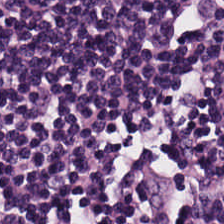Stain: H&E-stained tissue section.
Predominant tissue: lymphocytes.
